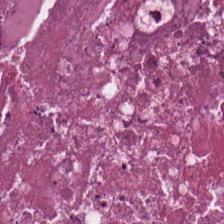H&E stain.
Q: What tissue is shown?
A: It is debris.
